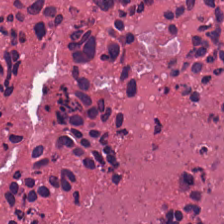Impression → necrotic debris.
